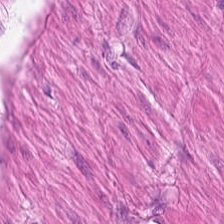Stain: H&E stain.
Resolution: 0.5 µm per pixel.
Tissue class: smooth-muscle tissue.
